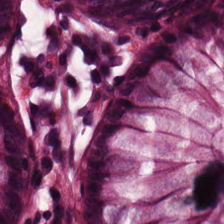This field is benign colonic mucosa.
